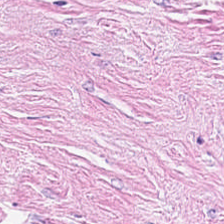0.5 µm/px · H&E-stained tissue section · formalin-fixed paraffin-embedded section. This patch shows desmoplastic stroma.
